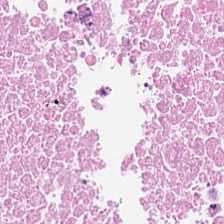Brightfield. H&E stain. Debris.
